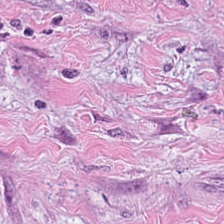Hematoxylin and eosin.
Q: What is the predominant tissue type?
A: Cancer-associated stroma.
